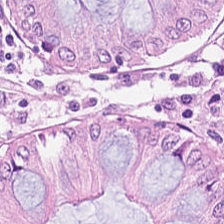Hematoxylin-and-eosin stained section — {"tissue_type": "normal colon mucosa"}
